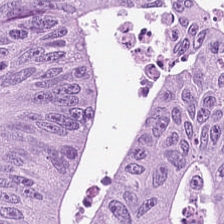224×224 px tile. Whole-slide-image patch. H&E stain — Q: What is shown in this field?
A: Colorectal adenocarcinoma epithelium.
